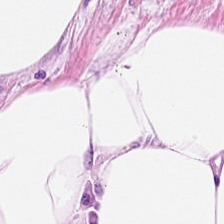Classification: adipose.
